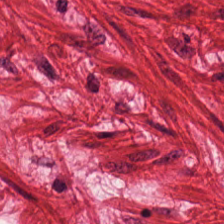FFPE tissue section. WSI patch. Hematoxylin and eosin. This field is smooth muscle.
